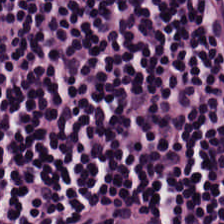This patch shows lymphocyte aggregate.
